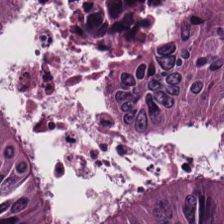H&E-stained tissue section. {"tissue_type": "colorectal adenocarcinoma"}
